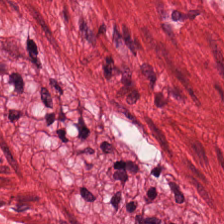Stain: hematoxylin and eosin.
Tissue: smooth muscle.
